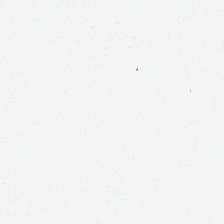H&E-stained tissue section · 20× equivalent magnification · 224×224 px tile. Field content: background.
